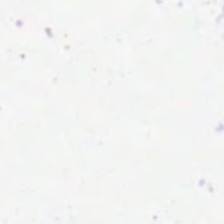Classification: background (no tissue).
